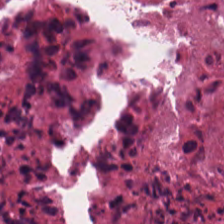Stain: H&E stain.
Acquisition: whole-slide-image patch.
Resolution: 0.5 microns per pixel.
Tissue: cellular debris.
